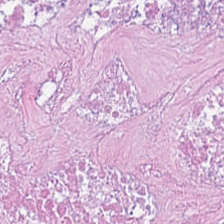Hematoxylin and eosin. The tissue is necrotic debris.
